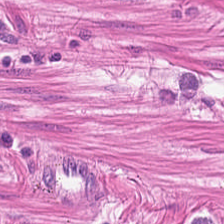0.5 microns per pixel · H&E. Finding — muscularis.
